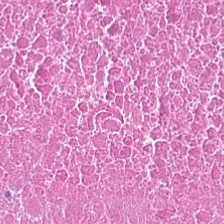Stain: H&E stain.
Classification: cellular debris.
